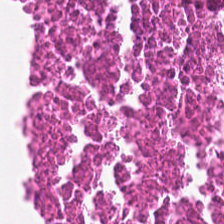Hematoxylin-and-eosin stained section · 0.5 µm/px. The tissue here is debris.
